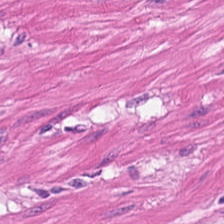H&E stain — Impression → muscularis.
